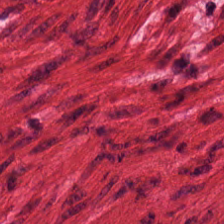Finding → muscularis.
